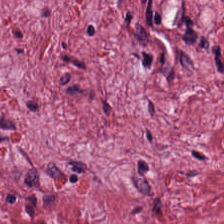FFPE; H&E-stained tissue section; brightfield. This patch shows cancer-associated stroma.
